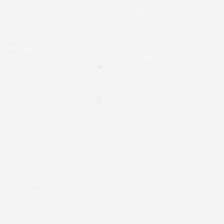H&E-stained tissue section · 20× equivalent magnification — This field is background (no tissue).
